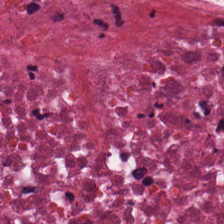Hematoxylin-and-eosin stained section. 20× equivalent magnification. The tissue type is necrotic debris.
